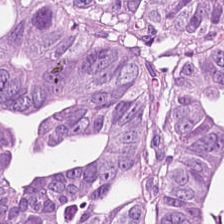Stain: H&E-stained tissue section.
Tissue type: colorectal adenocarcinoma epithelium.
